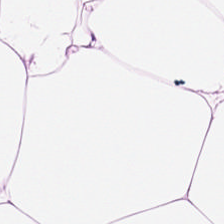Q: What is shown in this field?
A: The field shows fat tissue.
